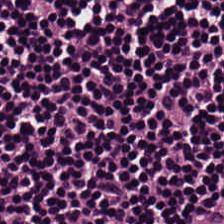H&E. Finding — lymphocyte aggregate.
